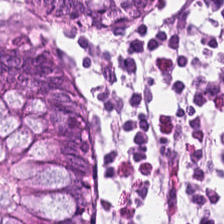H&E stain.
Showing normal colon mucosa.
